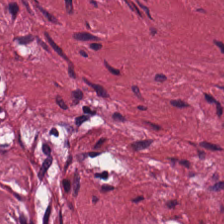0.5 µm per pixel; hematoxylin and eosin — Q: What does this patch show?
A: This is tumor stroma.
